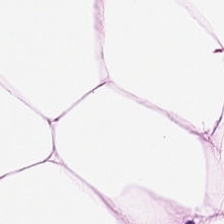H&E stain — Predominant tissue = adipocytes.
